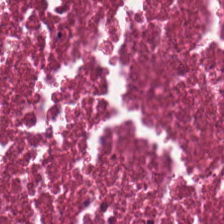Q: What does this patch show?
A: Cellular debris.
